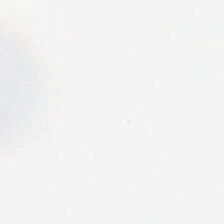Hematoxylin-and-eosin stained section · FFPE tissue section.
Q: Classify this patch.
A: This is empty background.
